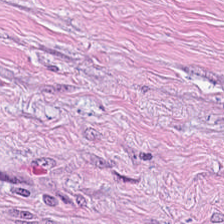Brightfield microscopy. Hematoxylin-and-eosin stained section. This field is tumor-associated stroma.
